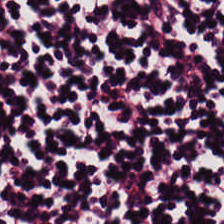Hematoxylin-and-eosin stained section.
The tissue here is lymphocytes.
